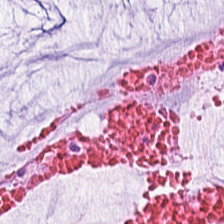Predominantly mucus.
